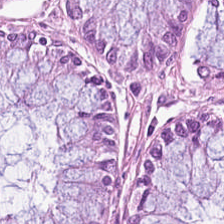224×224 px tile; hematoxylin-and-eosin stained section. The predominant tissue is non-neoplastic colon mucosa.
